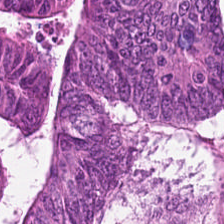H&E. Q: What tissue is shown?
A: Malignant epithelium.
